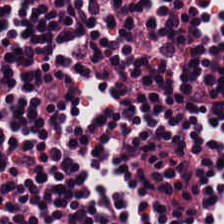Hematoxylin and eosin.
This field is lymphocyte aggregate.
